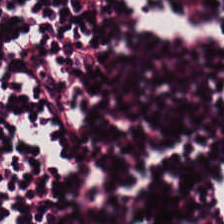Brightfield microscopy. 20× equivalent magnification. H&E stain — This patch shows lymphocytic infiltrate.
